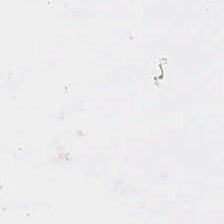224×224 px patch. H&E-stained tissue section. Whole-slide-image patch.
Empty field — empty background.
